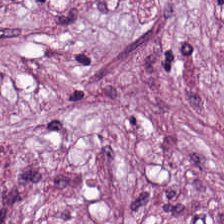H&E-stained tissue section · formalin-fixed paraffin-embedded section. This field is desmoplastic stroma.
